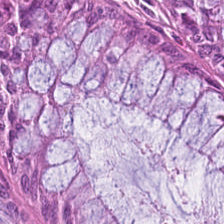H&E stain.
Tissue type = non-neoplastic colon mucosa.
